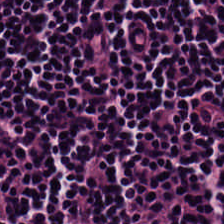Predominant tissue: lymphocytes.
